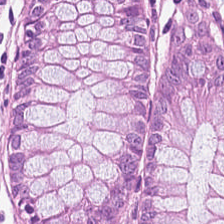H&E stain; brightfield — Normal colonic mucosa.
